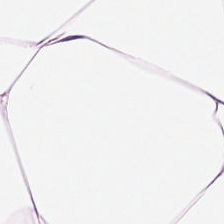H&E.
Predominantly adipose tissue.
